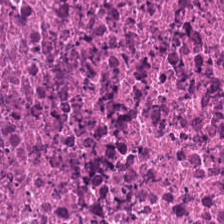H&E stain.
Histology — cellular debris.
